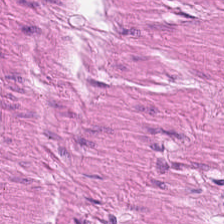H&E stain — Impression — muscularis.
